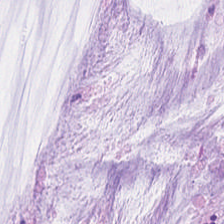H&E stain; FFPE tissue section. Extracellular mucin.
